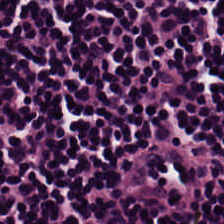224×224 px patch · WSI patch · H&E-stained tissue section.
Q: What is shown here?
A: Lymphoid infiltrate.
